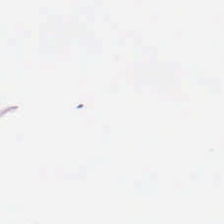H&E stain; 224×224 px patch; WSI patch — Background — no tissue in this field.
